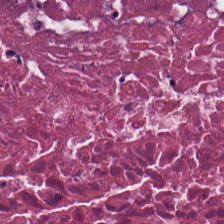Stain: H&E stain.
Tissue class: cellular debris.
